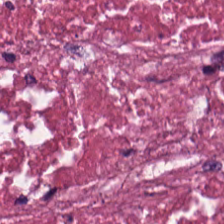Hematoxylin and eosin. Necrotic debris.
